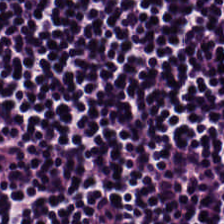Stain: H&E-stained tissue section.
Tissue type: lymphocytic infiltrate.
